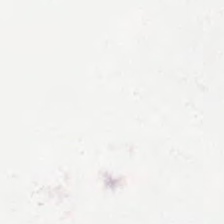Hematoxylin and eosin — Classification = empty background.
